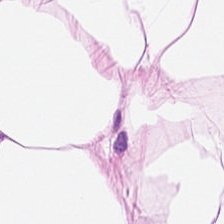H&E — Tissue: adipose.
